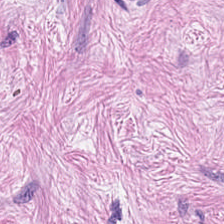H&E. Q: Identify the tissue.
A: The field shows desmoplastic stroma.
